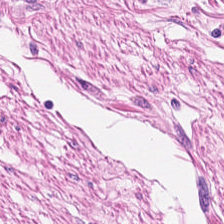H&E. 0.5 µm per pixel. Q: What is the predominant tissue type?
A: This is smooth muscle.
